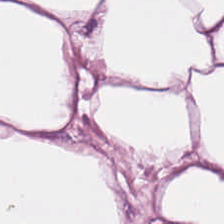Hematoxylin and eosin — This field is adipose.
